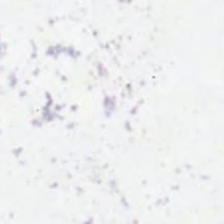Stain: hematoxylin-and-eosin stained section.
Classification: background (no tissue).
